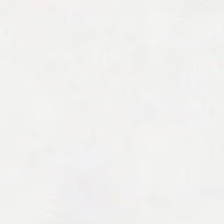Background — no tissue in this field.
